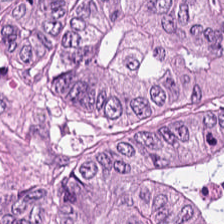Stain: H&E.
Tissue type: colorectal adenocarcinoma epithelium.
